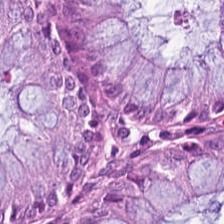Hematoxylin and eosin. Q: Classify this patch.
A: It is benign colonic mucosa.
